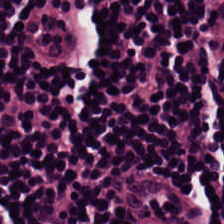FFPE; hematoxylin-and-eosin stained section — Tissue type — lymphoid infiltrate.
